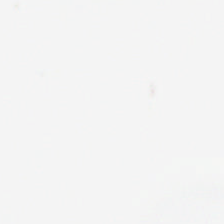Background (no tissue).
